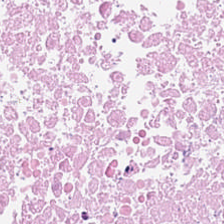The tissue here is cellular debris.
